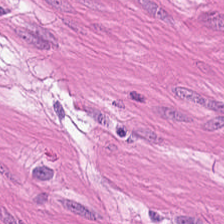Hematoxylin and eosin — Q: What is the predominant tissue type?
A: Smooth-muscle tissue.
